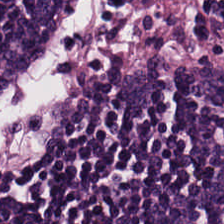Stain: hematoxylin and eosin.
Classification: lymphocytic infiltrate.
